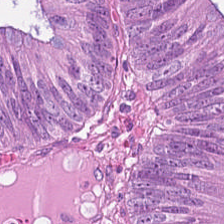Hematoxylin-and-eosin stained section. This patch shows tumor epithelium.
